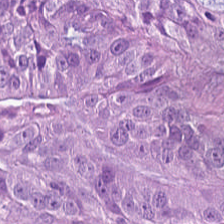H&E-stained tissue section.
Q: Classify this patch.
A: It is colorectal adenocarcinoma epithelium.
